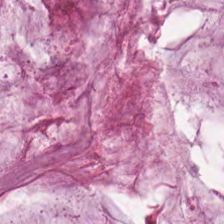Stain: hematoxylin-and-eosin stained section.
Tissue type: extracellular mucin.
